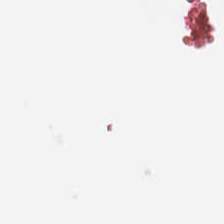Hematoxylin and eosin — Q: What is shown in this field?
A: Empty background.
